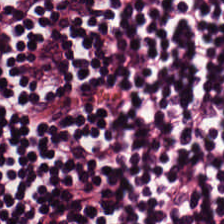H&E stain.
This field is lymphoid infiltrate.
